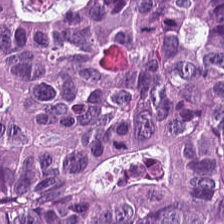Hematoxylin-and-eosin section: malignant epithelium.
